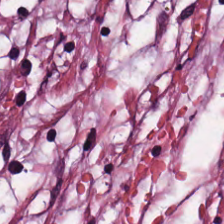Hematoxylin and eosin · FFPE tissue section.
Predominantly tumor-associated stroma.
